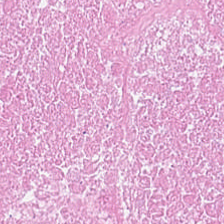Q: What does this patch show?
A: This is necrotic debris.
